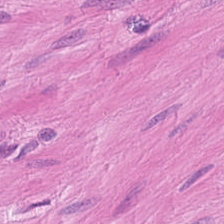Hematoxylin-and-eosin stained section — Predominantly smooth-muscle tissue.
